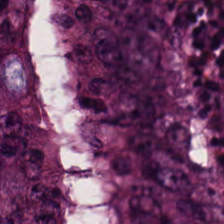Hematoxylin-and-eosin stained section · FFPE tissue section. Tissue type — malignant epithelium.
